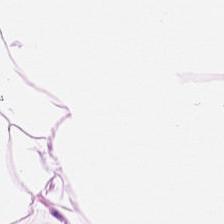Stain: hematoxylin-and-eosin stained section.
Resolution: 0.5 µm/px.
Predominant tissue: fat tissue.
